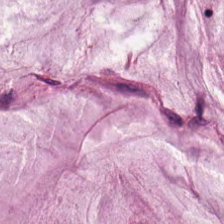Hematoxylin-and-eosin stained section — Finding — mucin.
